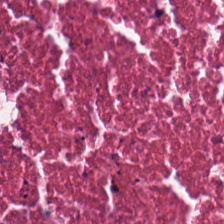Q: What tissue is shown?
A: It is necrotic debris.
